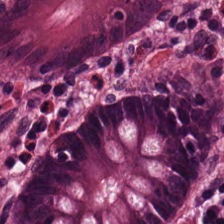224×224 pixel tile · brightfield · H&E stain.
The tissue here is normal colon mucosa.
